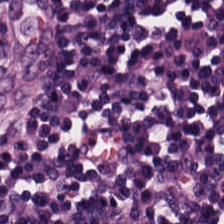Predominant tissue: lymphocytes.
